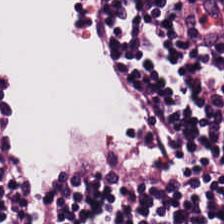Hematoxylin-and-eosin stained section · FFPE tissue section.
Tissue type — lymphocytic infiltrate.
